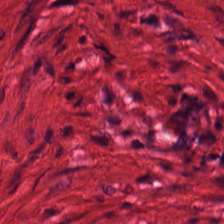The predominant tissue is smooth muscle.
